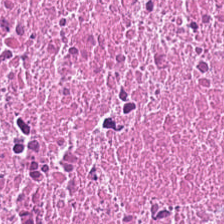Brightfield microscopy · FFPE tissue section · hematoxylin-and-eosin stained section.
Tissue = cellular debris.
